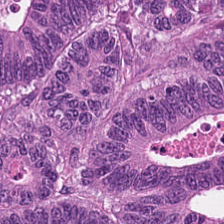Tissue: colorectal adenocarcinoma epithelium.
